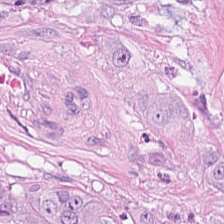224×224 px patch; H&E-stained tissue section. Predominant tissue = tumor epithelium.
